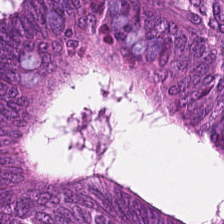224×224 pixel tile · hematoxylin-and-eosin stained section.
Colorectal adenocarcinoma.
